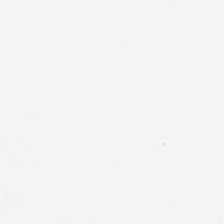224×224 pixel tile; H&E. Impression → empty background.
